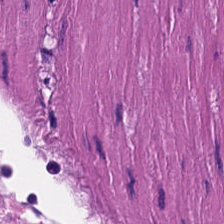Q: Classify this patch.
A: It is smooth-muscle tissue.
